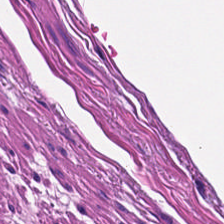Hematoxylin-and-eosin section: muscularis.
